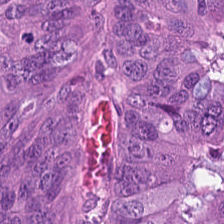Hematoxylin-and-eosin section: colorectal adenocarcinoma epithelium.
